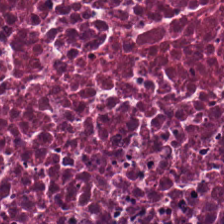0.5 microns per pixel · hematoxylin-and-eosin stained section · FFPE tissue section. Impression — necrotic debris.
